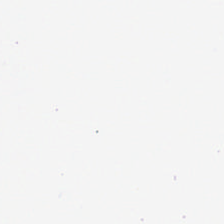H&E stain; FFPE.
Q: What is shown here?
A: It is background (no tissue).
